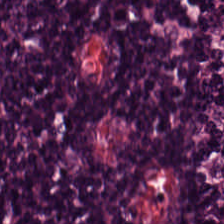H&E-stained tissue section — Tissue type: lymphocytes.
